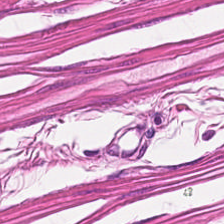Hematoxylin-and-eosin stained section · 0.5 µm per pixel — Histology → smooth-muscle tissue.
